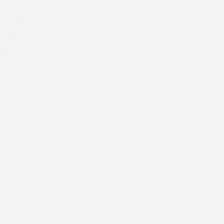224×224 px patch · 0.5 µm/px · H&E.
Background.
